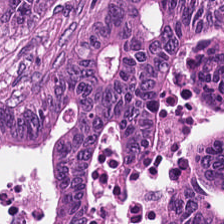FFPE tissue section; H&E; WSI patch — Predominant tissue: adenocarcinoma.
